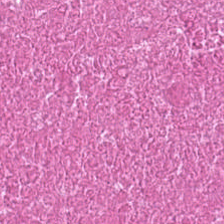Q: What tissue type is shown here?
A: This is cellular debris.
